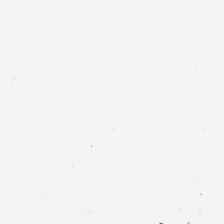Impression → no tissue.
